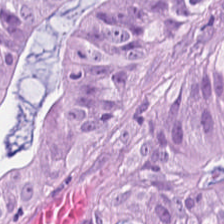H&E; WSI patch. Q: What is shown here?
A: The field shows adenocarcinoma.
